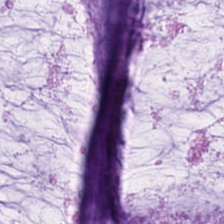0.5 microns per pixel; hematoxylin and eosin; 224×224 px tile — The tissue is mucin.
